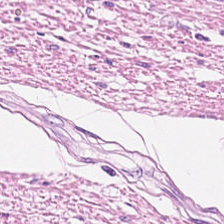Hematoxylin and eosin. Smooth muscle.
